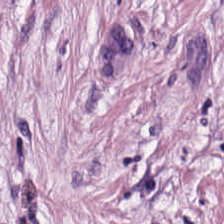H&E-stained tissue section. 224×224 px tile. The predominant tissue is tumor-associated stroma.
